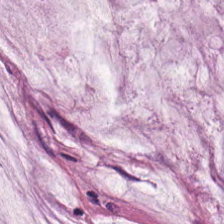Tissue type — mucin.
